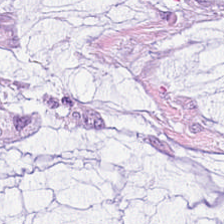224×224 px patch; hematoxylin and eosin.
Classification — extracellular mucin.
